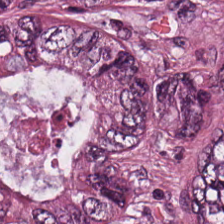H&E-stained tissue section — Q: Identify the tissue.
A: The field shows malignant epithelium.
